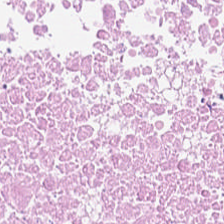The tissue class is debris.
